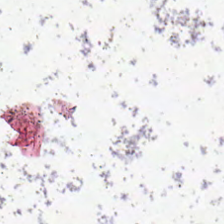H&E-stained tissue section; 0.5 µm/px — Q: What does this patch show?
A: It is background (no tissue).
